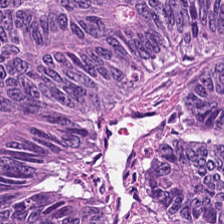H&E stain — {"tissue_type": "colorectal adenocarcinoma"}
